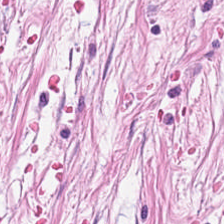Brightfield; 20× equivalent magnification; H&E-stained tissue section — Q: What is the predominant tissue type?
A: It is cancer-associated stroma.
